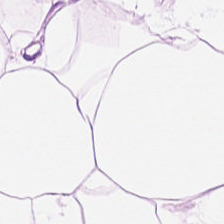H&E-stained tissue section · 20× equivalent magnification — Predominantly adipose tissue.
